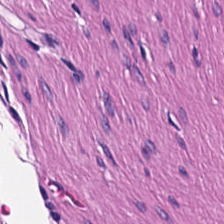FFPE tissue section · H&E stain · 0.5 microns per pixel. Q: What does this patch show?
A: It is smooth muscle.
